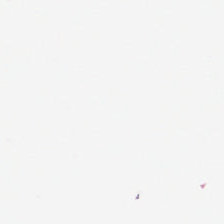This field is background (no tissue).
